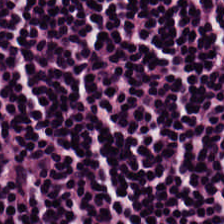H&E stain. WSI patch. 224×224 px patch. The tissue here is lymphocyte aggregate.
